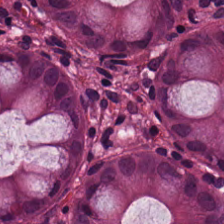Brightfield · 224×224 px tile · hematoxylin-and-eosin stained section. This field is normal colonic mucosa.
